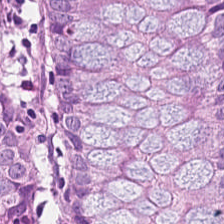0.5 µm/px; H&E. Histology — benign colonic mucosa.
